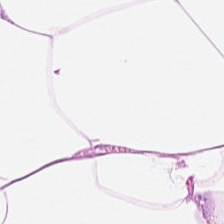Predominantly adipose.
